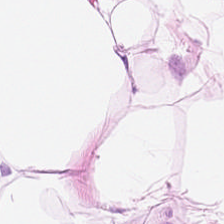Classification — adipose.
